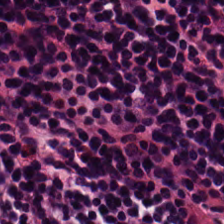H&E-stained tissue section — This field is lymphocyte aggregate.
